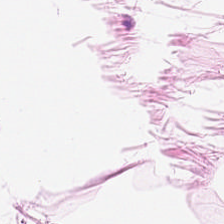H&E stain. 0.5 µm/px. Q: What is shown in this field?
A: It is adipocytes.
